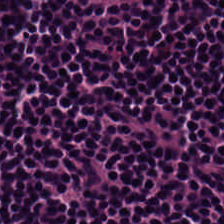The tissue here is lymphocytes.
